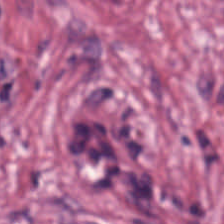20× equivalent magnification · hematoxylin-and-eosin stained section. This patch shows tumor-associated stroma.
